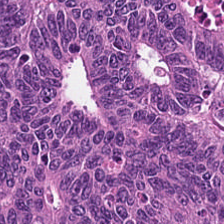H&E stain; FFPE; whole-slide-image patch. This patch shows malignant epithelium.
